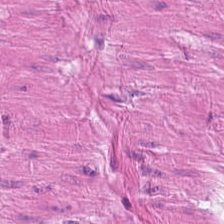H&E stain — This patch shows smooth muscle.
